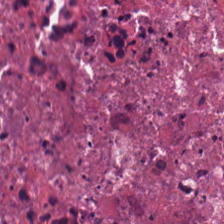H&E stain.
Q: Identify the tissue.
A: It is debris.
